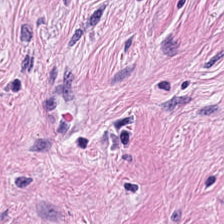Tissue type — desmoplastic stroma.
